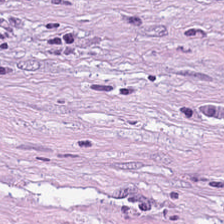The tissue is cancer-associated stroma.
